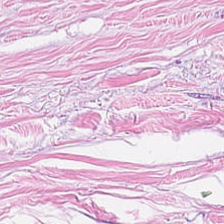H&E — {"tissue_type": "tumor stroma"}
